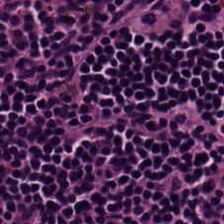Hematoxylin-and-eosin stained section. Whole-slide-image patch. The predominant tissue is lymphocytic infiltrate.
